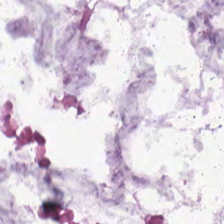H&E — extracellular mucin.
